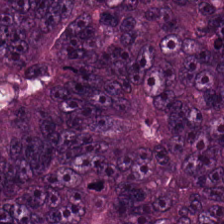H&E. The tissue class is malignant epithelium.
